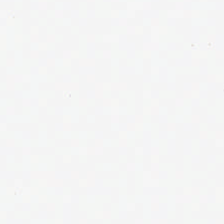0.5 microns per pixel. H&E stain.
Impression — background (no tissue).
